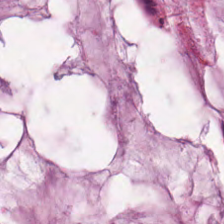H&E — This field is mucus.
